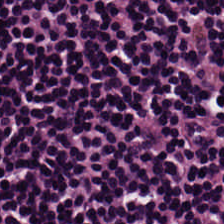Hematoxylin and eosin. Lymphoid infiltrate.
